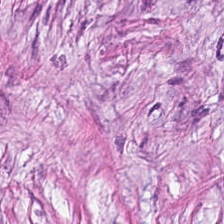Hematoxylin-and-eosin stained section. The predominant tissue is cancer-associated stroma.
